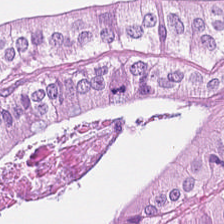Hematoxylin-and-eosin stained section · brightfield.
The tissue class is colorectal adenocarcinoma.
